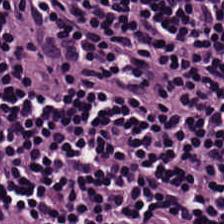H&E. Predominantly lymphoid infiltrate.
